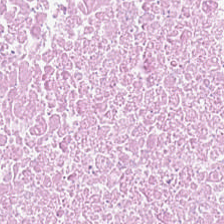H&E stain. 224×224 pixel tile. This patch shows debris.
